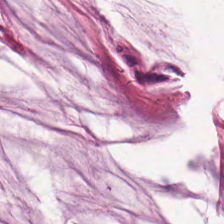224×224 px tile; hematoxylin-and-eosin stained section — Showing mucin.
